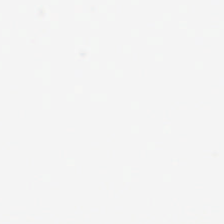Hematoxylin and eosin.
Empty field — background (no tissue).
